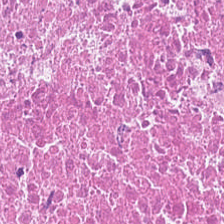H&E stain. Brightfield.
The predominant tissue is necrotic debris.
